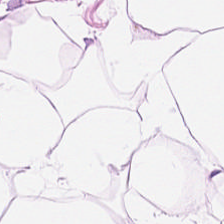Hematoxylin-and-eosin section: fat tissue.
